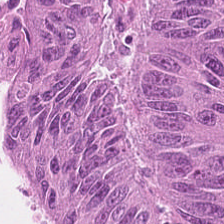Hematoxylin-and-eosin stained section — Q: What does this patch show?
A: Malignant epithelium.
